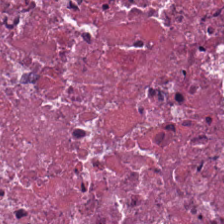Hematoxylin and eosin. This patch shows debris.
